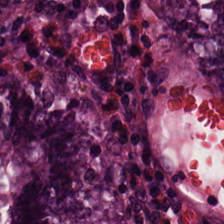0.5 µm/px · H&E-stained tissue section — Tissue class — normal colon mucosa.
